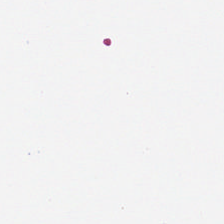Stain: H&E-stained tissue section.
Preparation: FFPE tissue section.
Resolution: 0.5 microns per pixel.
Field content: empty background.
